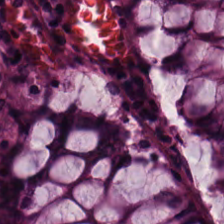H&E-stained tissue section.
Finding → normal colonic mucosa.
